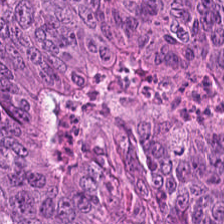H&E-stained tissue section; FFPE tissue section; 0.5 microns per pixel. This field is colorectal adenocarcinoma epithelium.
